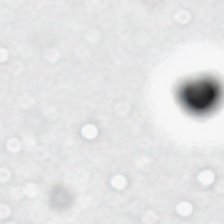Hematoxylin and eosin. Q: What is shown here?
A: Background.
